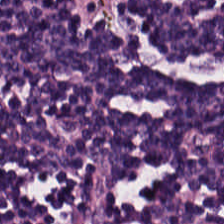Hematoxylin and eosin; brightfield microscopy; formalin-fixed paraffin-embedded section. Predominantly lymphocytic infiltrate.
